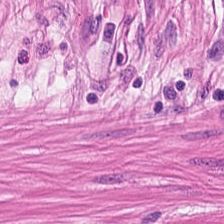H&E-stained tissue section — Impression — smooth-muscle tissue.
